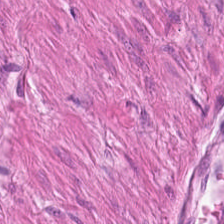FFPE. H&E — Predominantly smooth-muscle tissue.
